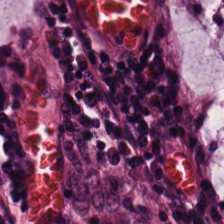Stain: H&E-stained tissue section.
Tissue type: non-neoplastic colon mucosa.
